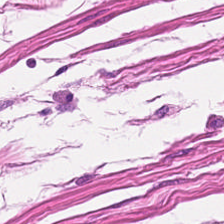H&E; 0.5 microns per pixel. Tissue = smooth muscle.
